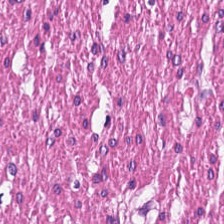Hematoxylin-and-eosin stained section. 224×224 px patch — Q: What is shown here?
A: Smooth muscle.
